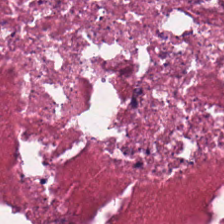Hematoxylin-and-eosin stained section.
This field is debris.
